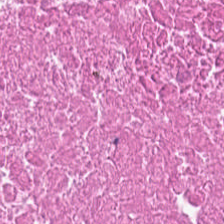H&E-stained tissue section. Necrotic debris.
